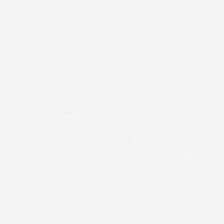Stain: hematoxylin-and-eosin stained section.
Content: empty background.
